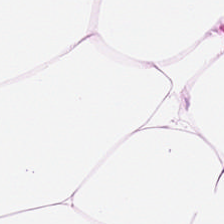Hematoxylin and eosin. {"tissue_type": "adipose"}
